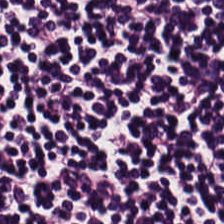Stain: H&E.
Tissue: lymphoid infiltrate.
